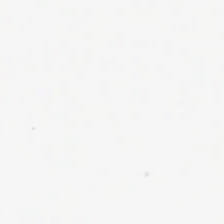FFPE tissue section. H&E. 224×224 px tile.
The field content is empty background.
